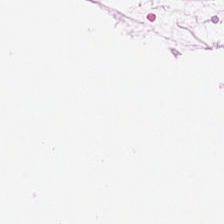Hematoxylin-and-eosin stained section. Tissue class: adipose.
